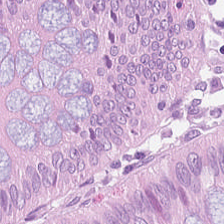Tissue type — non-neoplastic colon mucosa.
